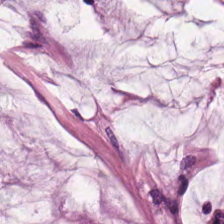H&E stain; FFPE; 0.5 µm/px. Tissue = mucus.
